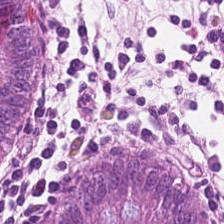H&E stain.
Predominantly normal colonic mucosa.
